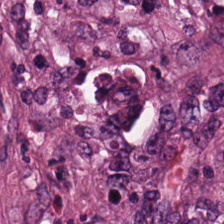Hematoxylin and eosin; 224×224 pixel tile; brightfield microscopy — Classification = desmoplastic stroma.
